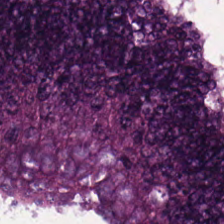Finding → tumor epithelium.
